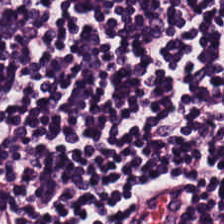Hematoxylin-and-eosin stained section.
The tissue here is lymphocytic infiltrate.
